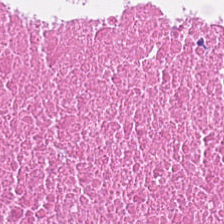Hematoxylin and eosin · brightfield — Q: What is the predominant tissue type?
A: This is necrotic debris.
